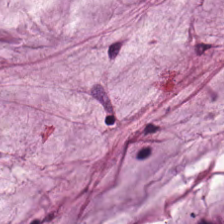Predominantly mucus.
